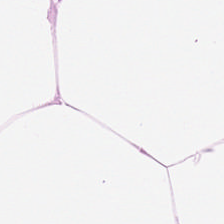Hematoxylin-and-eosin stained section.
Classification: adipose.
